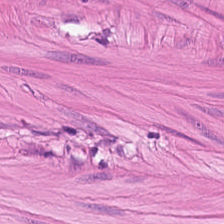Hematoxylin and eosin — Q: Identify the tissue.
A: This is smooth-muscle tissue.
